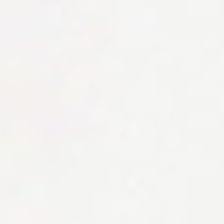Hematoxylin and eosin.
Q: What is shown in this field?
A: It is no tissue.
